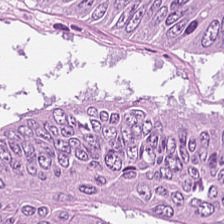H&E.
Tissue class: colorectal adenocarcinoma epithelium.
